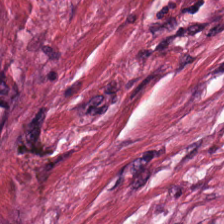H&E-stained tissue section. Classification = desmoplastic stroma.
